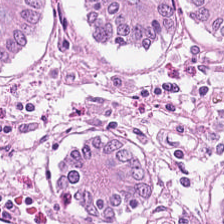224×224 pixel tile; H&E — Impression — non-neoplastic colon mucosa.
